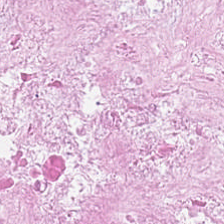H&E-stained tissue section. This field is cellular debris.
